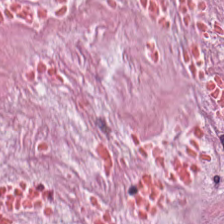H&E stain — Q: What type of tissue is this?
A: Tumor stroma.
